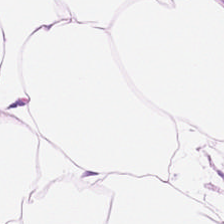Showing adipose.
